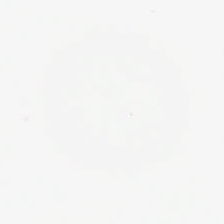Stain: hematoxylin and eosin.
Classification: background (no tissue).
